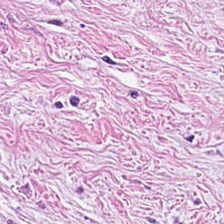Stain: hematoxylin and eosin.
Tissue type: tumor stroma.
